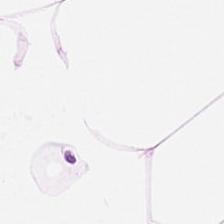WSI patch · hematoxylin-and-eosin stained section · formalin-fixed paraffin-embedded section. The predominant tissue is adipose tissue.
